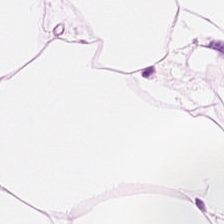H&E — This patch shows fat tissue.
